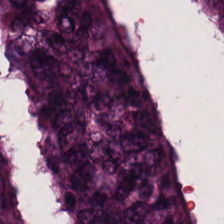H&E-stained tissue section — The tissue here is malignant epithelium.
